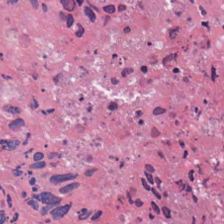FFPE. 224×224 pixel tile. H&E-stained tissue section. Cellular debris.
